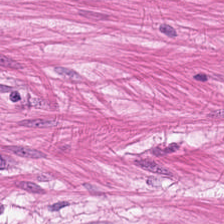224×224 pixel tile · H&E · whole-slide-image patch — The tissue here is muscularis.
